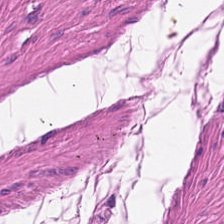Hematoxylin and eosin · formalin-fixed paraffin-embedded section — Histology → muscularis.
